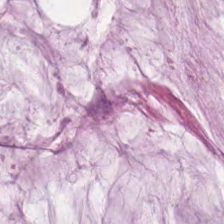Hematoxylin and eosin.
Predominantly extracellular mucin.
